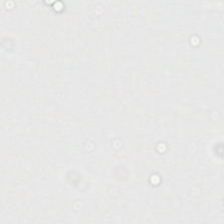FFPE tissue section. H&E-stained tissue section.
Background — no tissue in this field.
